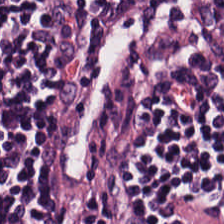Hematoxylin and eosin. Q: Classify this patch.
A: It is lymphocyte aggregate.
